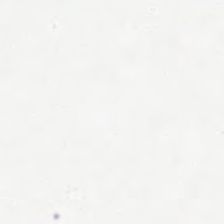Formalin-fixed paraffin-embedded section · hematoxylin and eosin. {"content": "no tissue"}
